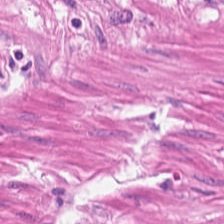H&E stain. Predominantly smooth-muscle tissue.
